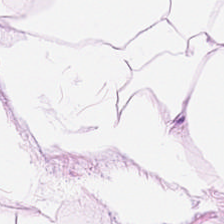H&E — Tissue class = adipose.
